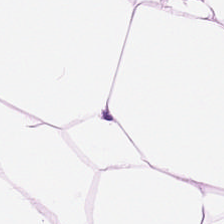Whole-slide-image patch. Hematoxylin-and-eosin stained section. Tissue class: adipose.
